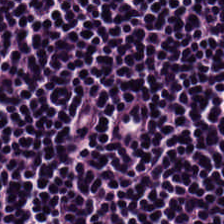H&E stain. Tissue type — lymphocytes.
